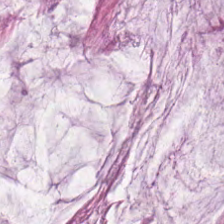H&E — extracellular mucin.
